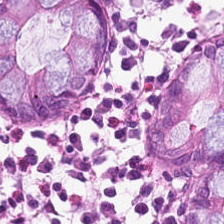H&E. Showing normal colonic mucosa.
